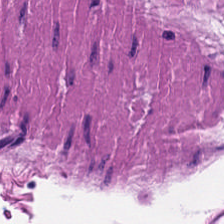H&E-stained tissue section. 20× equivalent magnification — The predominant tissue is smooth muscle.
